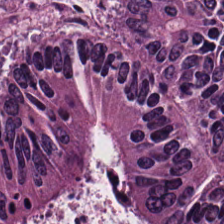Hematoxylin and eosin; brightfield microscopy; 224×224 px tile. Histology — tumor epithelium.
